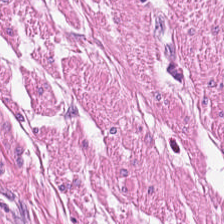The classification is muscularis.
